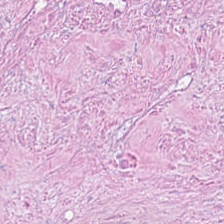H&E stain. 20× equivalent magnification — The predominant tissue is necrotic debris.
